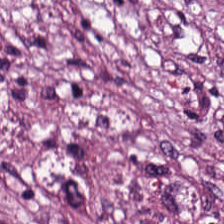Q: Classify this patch.
A: The field shows cancer-associated stroma.
